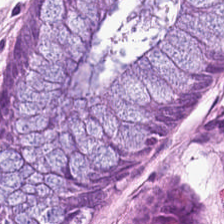H&E-stained tissue section — Finding — benign colonic mucosa.
